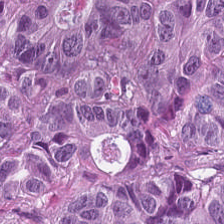Stain: H&E stain.
Predominant tissue: colorectal adenocarcinoma epithelium.
